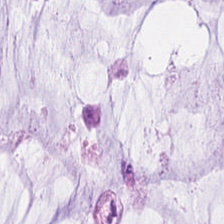224×224 pixel tile · hematoxylin-and-eosin stained section. Tissue: mucus.
